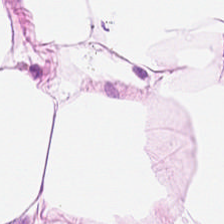Stain: H&E stain.
Acquisition: whole-slide-image patch.
Predominant tissue: fat tissue.
